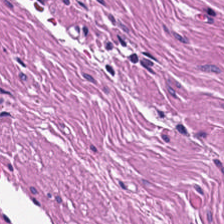224×224 px tile · H&E stain.
The classification is smooth-muscle tissue.
